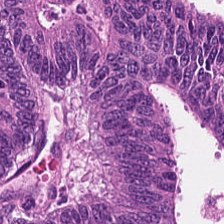H&E-stained tissue section · FFPE.
The predominant tissue is malignant epithelium.
